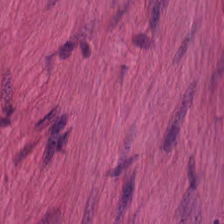224×224 px tile · H&E-stained tissue section · brightfield microscopy.
The tissue here is muscularis.
